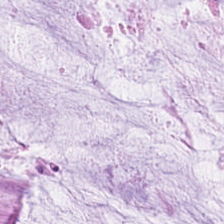Hematoxylin and eosin. 224×224 px patch. Brightfield microscopy — This field is extracellular mucin.
